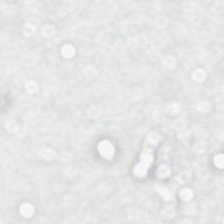H&E. 0.5 microns per pixel — Classification — empty background.
